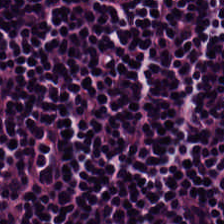Stain: hematoxylin-and-eosin stained section.
Resolution: 20× equivalent magnification.
Preparation: FFPE tissue section.
Predominant tissue: lymphocytic infiltrate.
